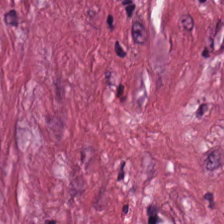The tissue is tumor-associated stroma.
